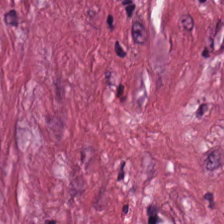The tissue is tumor-associated stroma.
